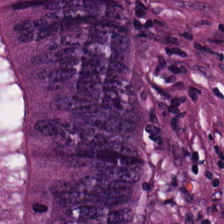Hematoxylin and eosin.
Tumor epithelium.
